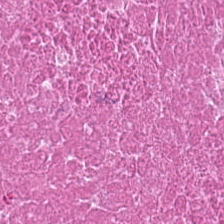Brightfield · 0.5 µm/px · H&E-stained tissue section.
{"tissue_type": "debris"}
